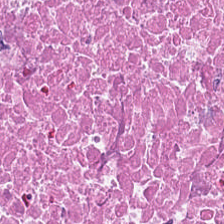Finding → necrotic debris.
